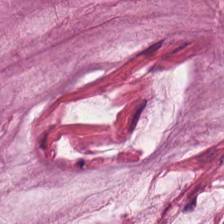Hematoxylin-and-eosin stained section — The tissue class is mucin.
